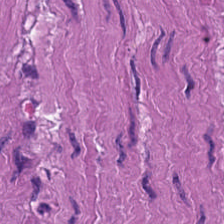Predominant tissue = muscularis.
